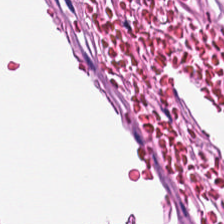H&E stain · 224×224 pixel tile. Tissue type: muscularis.
